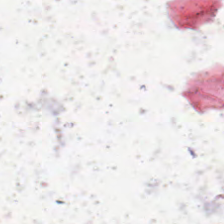224×224 px tile · 0.5 µm per pixel · hematoxylin-and-eosin stained section. The field content is no tissue.
